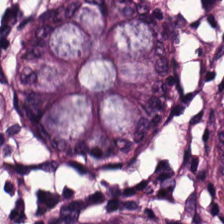FFPE tissue section. H&E stain — The classification is non-neoplastic colon mucosa.
